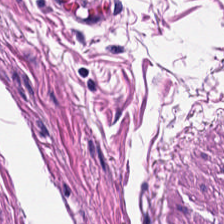FFPE tissue section. H&E-stained tissue section.
The tissue class is smooth-muscle tissue.
